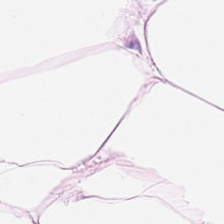Showing fat tissue.
